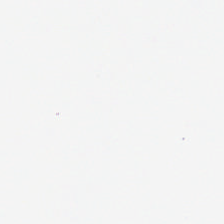20× equivalent magnification · H&E stain — Q: Classify this patch.
A: The field shows background (no tissue).
